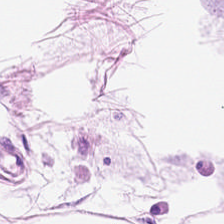0.5 µm per pixel · FFPE · hematoxylin and eosin.
Predominantly adipocytes.
